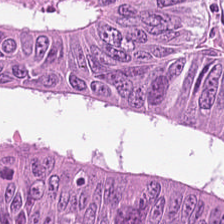Brightfield. H&E-stained tissue section. 20× equivalent magnification — Predominant tissue — tumor epithelium.
